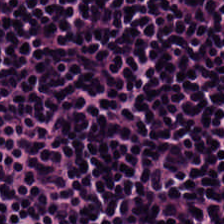Whole-slide-image patch · 0.5 microns per pixel · H&E-stained tissue section.
Finding — lymphocytes.
